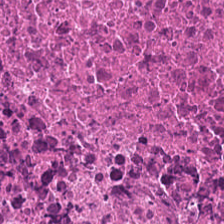H&E stain. {"tissue_type": "cellular debris"}
